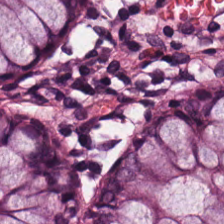H&E-stained tissue section. 224×224 pixel tile. Tissue class = benign colonic mucosa.
